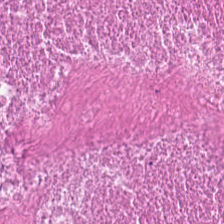224×224 pixel tile · H&E-stained tissue section · brightfield microscopy. The predominant tissue is debris.
